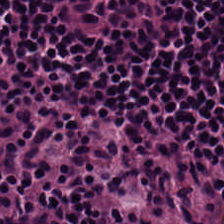FFPE tissue section. H&E stain. {"tissue_type": "lymphoid infiltrate"}
